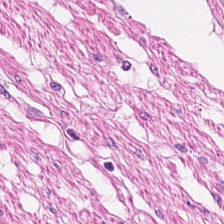Tissue type: smooth-muscle tissue.
